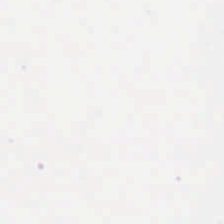H&E.
This patch shows empty background.
